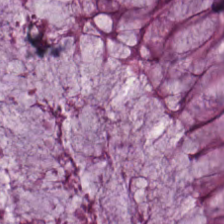224×224 px patch. 20× equivalent magnification. Hematoxylin-and-eosin stained section. Histology — normal colonic mucosa.
